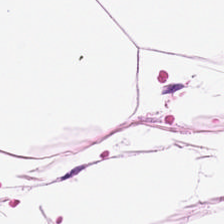Hematoxylin and eosin; 20× equivalent magnification.
Classification = adipose.
